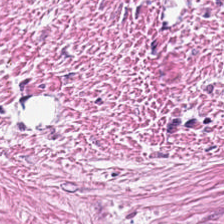FFPE. Hematoxylin and eosin. Q: Classify this patch.
A: Tumor stroma.
